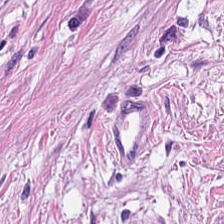Tissue — smooth muscle.
